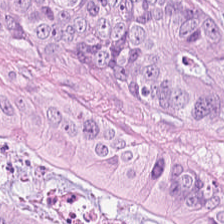Stain: hematoxylin-and-eosin stained section.
Classification: adenocarcinoma.
